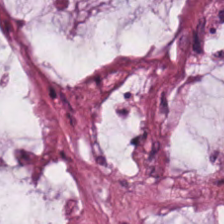The tissue class is extracellular mucin.
